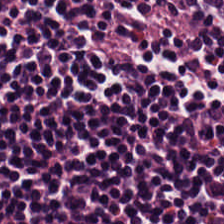The predominant tissue is lymphoid infiltrate.
